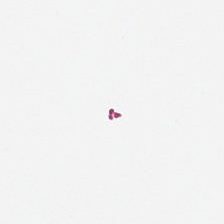Q: Classify this patch.
A: The field shows no tissue.
